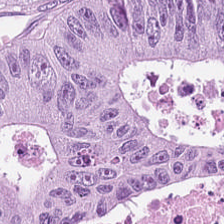Brightfield; 0.5 µm per pixel; H&E-stained tissue section — Predominant tissue — colorectal adenocarcinoma.
